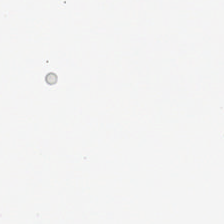Classification: background (no tissue).
